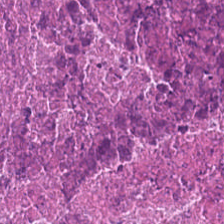The predominant tissue is cellular debris.
